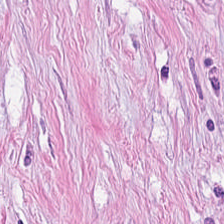H&E-stained tissue section; formalin-fixed paraffin-embedded section — Q: What is shown in this field?
A: It is tumor-associated stroma.
